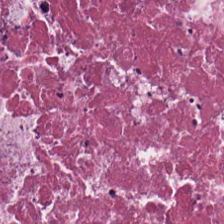Histology → cellular debris.
